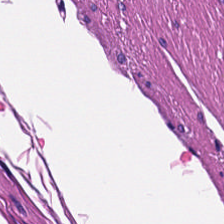Hematoxylin-and-eosin stained section — Finding — smooth muscle.
